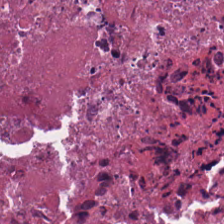0.5 µm per pixel; H&E — Q: Classify this patch.
A: It is debris.
